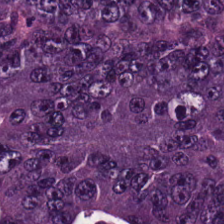Hematoxylin-and-eosin stained section. Finding — malignant epithelium.
